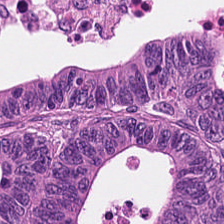H&E-stained tissue section showing tumor epithelium.
